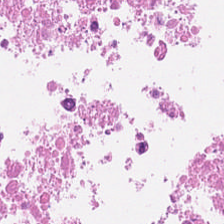H&E. 0.5 µm per pixel. Classification: cellular debris.
